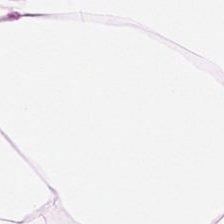H&E stain — Tissue = adipose tissue.
